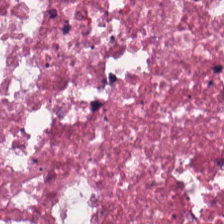The classification is debris.
